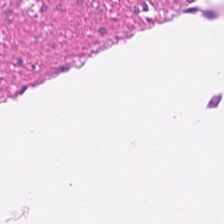{"tissue_type": "muscularis"}
